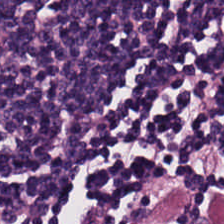Hematoxylin and eosin.
This patch shows lymphocytes.
